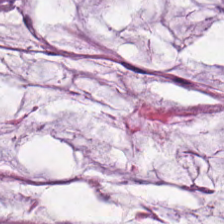H&E stain · formalin-fixed paraffin-embedded section — The predominant tissue is mucus.
